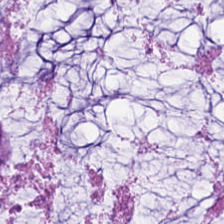H&E-stained tissue section. Q: What does this patch show?
A: Mucus.
